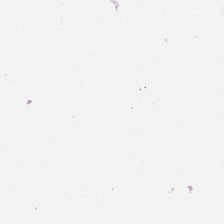H&E stain.
Impression → empty background.
